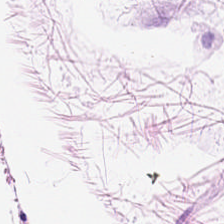This patch shows adipose.
